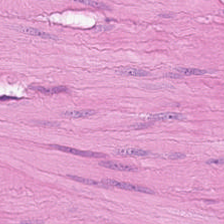Hematoxylin-and-eosin stained section.
The tissue is muscularis.
